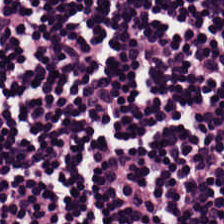The tissue here is lymphocytic infiltrate.
